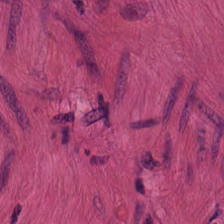0.5 µm per pixel · H&E stain.
{"tissue_type": "smooth muscle"}
